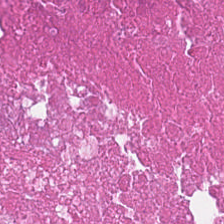Hematoxylin-and-eosin stained section — Cellular debris.
